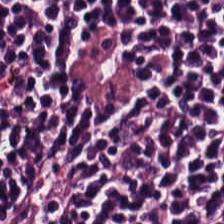Hematoxylin-and-eosin stained section · 224×224 pixel tile · formalin-fixed paraffin-embedded section — Showing lymphocyte aggregate.
